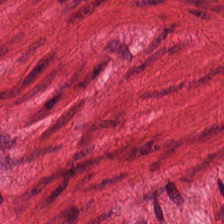Stain: H&E.
Acquisition: brightfield microscopy.
Tissue type: smooth muscle.
